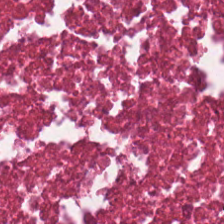This field is necrotic debris.
